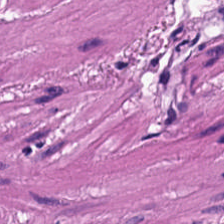Hematoxylin-and-eosin stained section.
Tissue type = smooth-muscle tissue.
